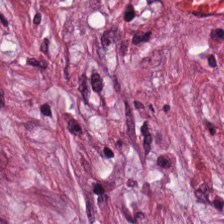Stain: hematoxylin-and-eosin stained section.
Tile size: 224×224 px patch.
Tissue class: tumor stroma.
